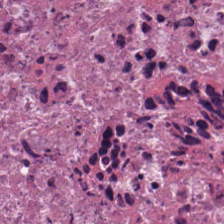H&E stain — Q: What is the predominant tissue type?
A: Cellular debris.
